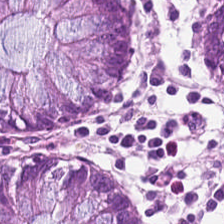H&E-stained tissue section. 224×224 px tile. 0.5 µm per pixel. The tissue here is non-neoplastic colon mucosa.
